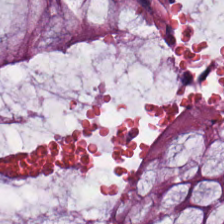Tissue = non-neoplastic colon mucosa.
